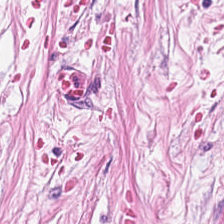Hematoxylin and eosin — Predominant tissue = tumor stroma.
